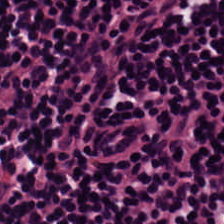Hematoxylin and eosin; formalin-fixed paraffin-embedded section; brightfield microscopy.
Tissue — lymphocyte aggregate.
